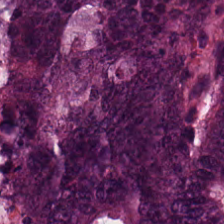Q: What is the predominant tissue type?
A: The field shows colorectal adenocarcinoma.
